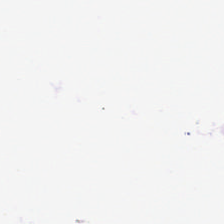Empty background.
